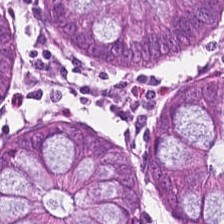224×224 pixel tile. Hematoxylin-and-eosin stained section — The tissue here is benign colonic mucosa.
